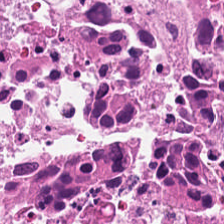H&E stain.
The predominant tissue is cellular debris.
